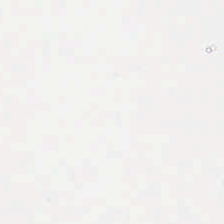H&E stain. 224×224 px patch. WSI patch — Finding → no tissue.
